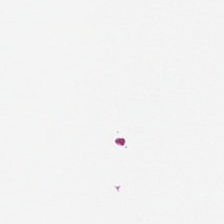Whole-slide-image patch. H&E. This field is background (no tissue).
